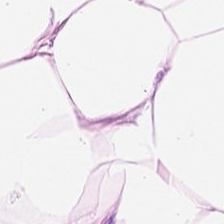Hematoxylin-and-eosin stained section. 0.5 µm/px. 224×224 pixel tile.
Adipocytes.
